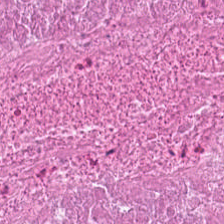Hematoxylin-and-eosin stained section — Showing cellular debris.
